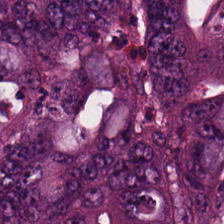224×224 pixel tile · H&E.
{"tissue_type": "tumor epithelium"}
